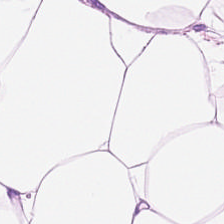H&E stain; FFPE; 0.5 µm per pixel — Q: What is shown here?
A: This is adipocytes.
